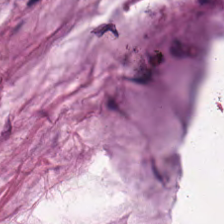Whole-slide-image patch. 224×224 pixel tile. Hematoxylin and eosin.
Q: Classify this patch.
A: It is mucin.
